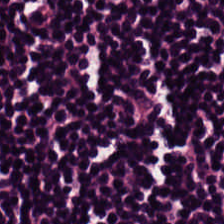Stain: H&E.
Preparation: formalin-fixed paraffin-embedded section.
Tissue class: lymphocytic infiltrate.
